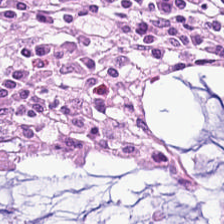H&E stain; 224×224 px tile. Normal colon mucosa.
